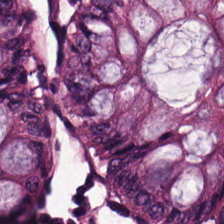224×224 pixel tile. Hematoxylin-and-eosin stained section — Q: What is shown here?
A: This is normal colon mucosa.
